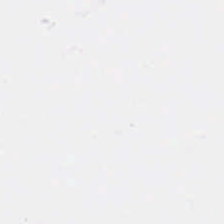Stain: H&E-stained tissue section.
Resolution: 20× equivalent magnification.
Preparation: formalin-fixed paraffin-embedded section.
Content: background.
